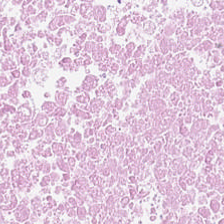Hematoxylin and eosin — The tissue here is cellular debris.
